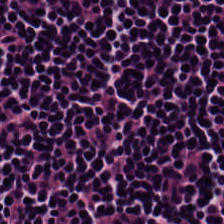Hematoxylin-and-eosin stained section. Q: What is shown in this field?
A: It is lymphocyte aggregate.
